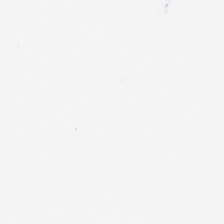This field is background (no tissue).
